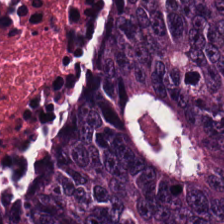Finding → adenocarcinoma.
